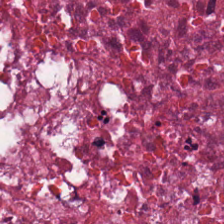Finding → necrotic debris.
